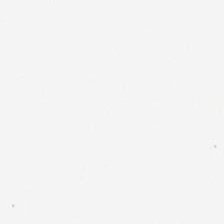Hematoxylin and eosin. Classification = no tissue.
